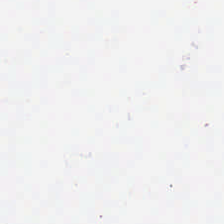Hematoxylin-and-eosin stained section. 20× equivalent magnification — Q: What is shown here?
A: Empty background.
